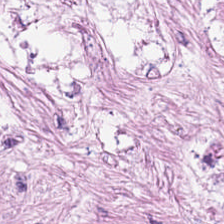Stain: hematoxylin-and-eosin stained section.
Tissue: desmoplastic stroma.
